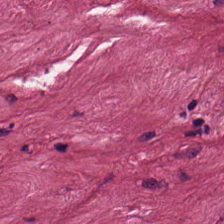224×224 px patch; hematoxylin-and-eosin stained section; FFPE. Q: Classify this patch.
A: This is tumor stroma.
